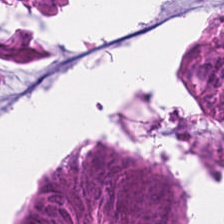0.5 µm per pixel; hematoxylin and eosin.
Tissue type — tumor epithelium.
